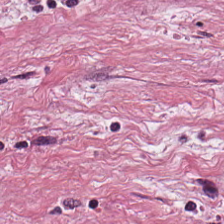The tissue class is tumor stroma.
